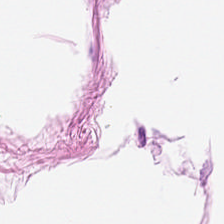H&E stain.
The tissue is adipose tissue.
